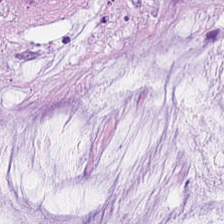Stain: hematoxylin and eosin.
Tissue: extracellular mucin.
